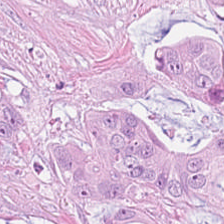{"tissue_type": "colorectal adenocarcinoma epithelium"}
